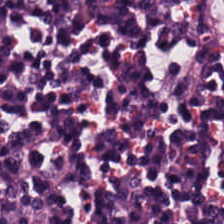Lymphocyte aggregate.
